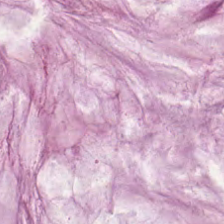H&E stain.
Q: What type of tissue is this?
A: It is extracellular mucin.
